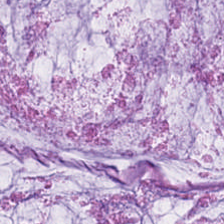Formalin-fixed paraffin-embedded section · hematoxylin and eosin · 0.5 microns per pixel. Extracellular mucin.
